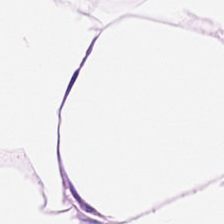Tissue type — adipose tissue.
